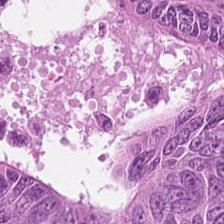Hematoxylin-and-eosin stained section. This field is colorectal adenocarcinoma.
